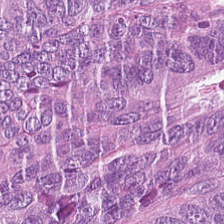H&E-stained tissue section.
Q: What tissue is shown?
A: It is colorectal adenocarcinoma epithelium.
